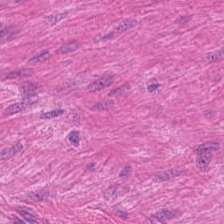Finding → muscularis.
